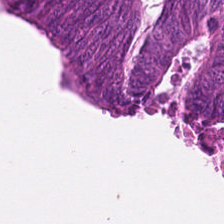Hematoxylin-and-eosin stained section — Predominant tissue — malignant epithelium.
